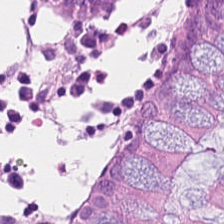Non-neoplastic colon mucosa.
